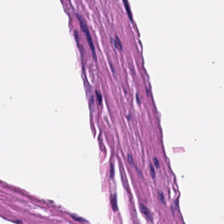H&E stain. Predominantly smooth-muscle tissue.
